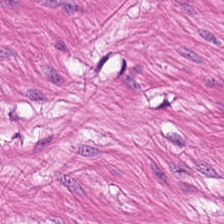Hematoxylin and eosin. The tissue here is muscularis.
